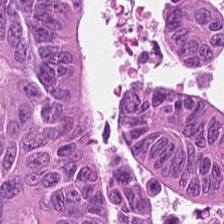H&E-stained tissue section. 224×224 px patch. Histology — colorectal adenocarcinoma.
